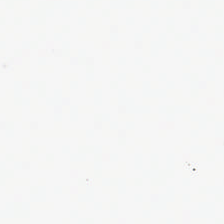Stain: hematoxylin and eosin.
Acquisition: whole-slide-image patch.
Preparation: FFPE.
Classification: background (no tissue).
